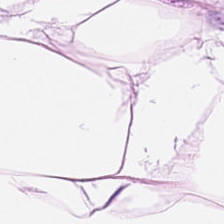Whole-slide-image patch. H&E stain. This field is fat tissue.
